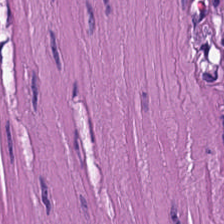This patch shows muscularis.
